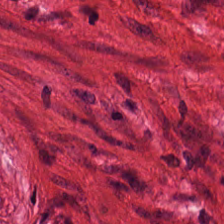FFPE tissue section; hematoxylin-and-eosin stained section — This patch shows smooth-muscle tissue.
